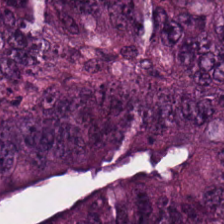H&E — Q: What is shown here?
A: The field shows malignant epithelium.
